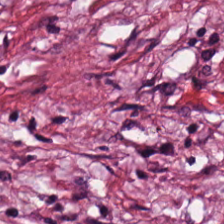Hematoxylin and eosin — Finding — cancer-associated stroma.
